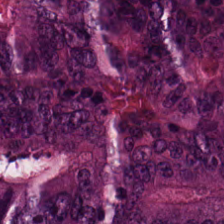H&E-stained tissue section. {"tissue_type": "tumor epithelium"}
